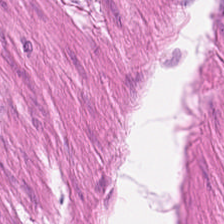Hematoxylin-and-eosin stained section.
Q: What tissue is shown?
A: This is smooth-muscle tissue.
